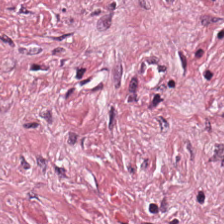Stain: H&E.
Tissue class: cancer-associated stroma.
